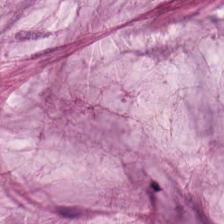Predominantly extracellular mucin.
